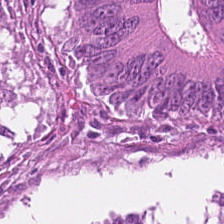H&E patch showing colorectal adenocarcinoma.
